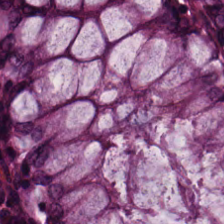Hematoxylin and eosin; 224×224 px patch. Benign colonic mucosa.
